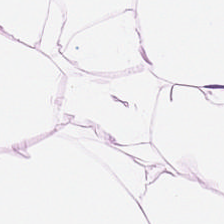Hematoxylin and eosin. Formalin-fixed paraffin-embedded section.
Q: What is shown in this field?
A: It is fat tissue.
